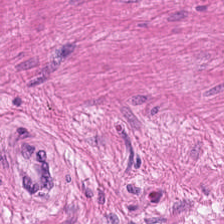WSI patch; 0.5 microns per pixel; H&E stain.
Predominantly muscularis.
